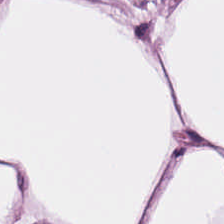Stain: hematoxylin-and-eosin stained section.
Tissue: fat tissue.
